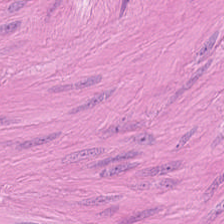FFPE tissue section · H&E stain · 20× equivalent magnification — Q: What does this patch show?
A: It is smooth-muscle tissue.
